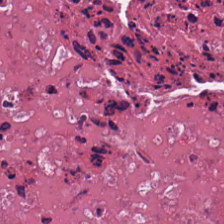Hematoxylin and eosin — Predominant tissue — necrotic debris.
